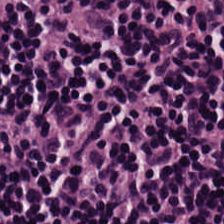H&E stain. Brightfield. Predominant tissue — lymphocyte aggregate.
